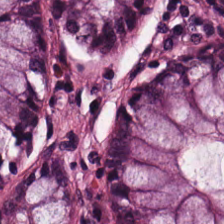Hematoxylin and eosin. Benign colonic mucosa.
